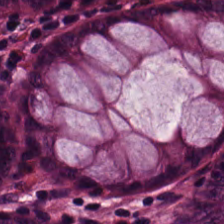Hematoxylin and eosin; brightfield microscopy — Impression — non-neoplastic colon mucosa.
